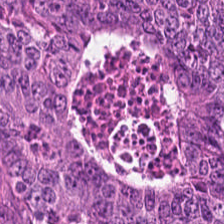Hematoxylin-and-eosin stained section. Brightfield.
Predominantly colorectal adenocarcinoma epithelium.
